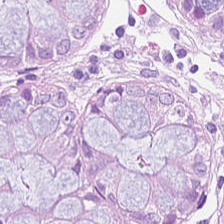{"tissue_type": "benign colonic mucosa"}
